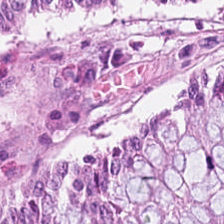Stain: hematoxylin and eosin.
Predominant tissue: benign colonic mucosa.
